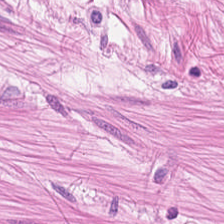20× equivalent magnification · hematoxylin-and-eosin stained section · FFPE. This patch shows muscularis.
